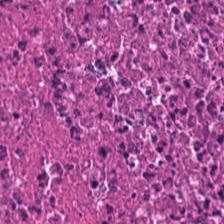WSI patch; hematoxylin-and-eosin stained section — Impression — cellular debris.
